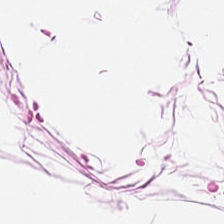224×224 pixel tile; hematoxylin and eosin. This patch shows adipose tissue.
